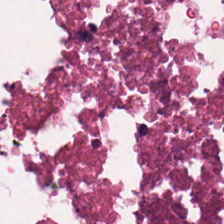Stain: H&E.
Preparation: FFPE tissue section.
Classification: necrotic debris.
